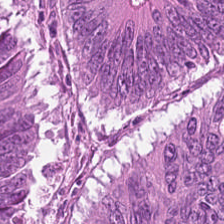H&E-stained tissue section; FFPE tissue section — Impression → tumor epithelium.
